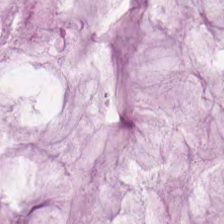H&E stain. FFPE. 224×224 px tile. Predominantly mucin.
